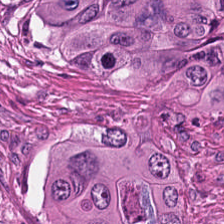Brightfield; H&E stain.
Malignant epithelium.
